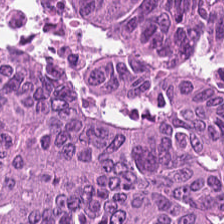Stain: H&E.
Tissue type: adenocarcinoma.
